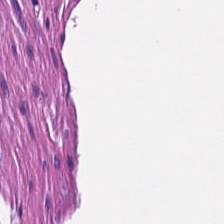Hematoxylin-and-eosin stained section.
Predominant tissue: smooth muscle.
